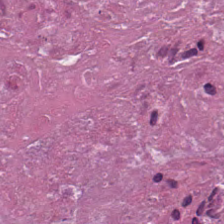Predominant tissue — necrotic debris.
